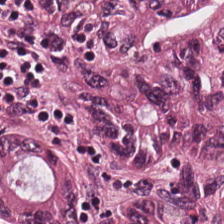H&E stain — Q: What tissue type is shown here?
A: It is tumor epithelium.
